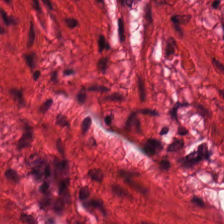Smooth muscle.
